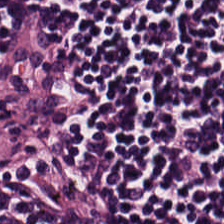Hematoxylin-and-eosin stained section.
Showing lymphocytic infiltrate.
